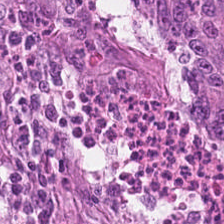Stain: H&E-stained tissue section.
Tissue: colorectal adenocarcinoma epithelium.
